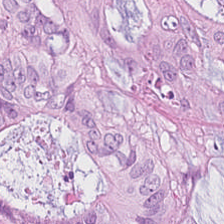H&E — tumor epithelium.
